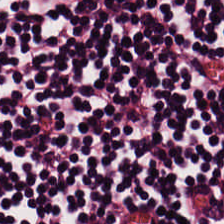0.5 microns per pixel. FFPE. H&E. The tissue here is lymphocytes.
